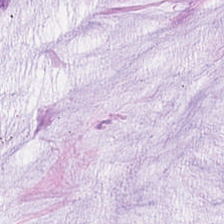Tissue class = mucin.
